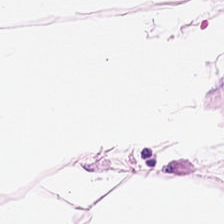H&E. Predominantly adipose tissue.
